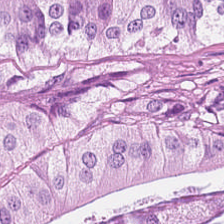224×224 px patch; H&E-stained tissue section; WSI patch. This patch shows tumor epithelium.
